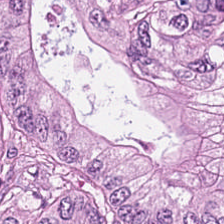H&E — This patch shows malignant epithelium.
